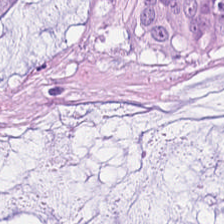Whole-slide-image patch; hematoxylin and eosin. Q: Classify this patch.
A: The field shows mucus.
